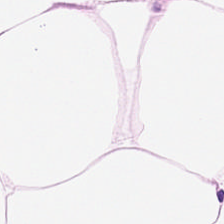224×224 px tile · H&E-stained tissue section · brightfield. Tissue type — fat tissue.
